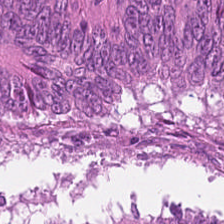20× equivalent magnification; H&E — Malignant epithelium.
